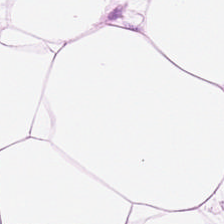Stain: H&E-stained tissue section.
Predominant tissue: adipose.
